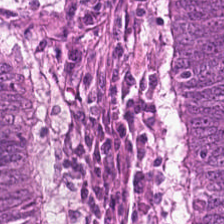224×224 px tile; H&E — Impression — malignant epithelium.
